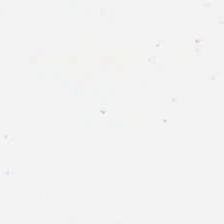H&E · brightfield microscopy.
Q: Classify this patch.
A: This is background.
